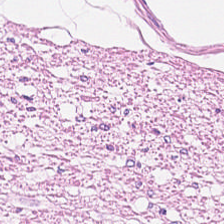224×224 pixel tile; FFPE; hematoxylin and eosin. The tissue here is muscularis.
